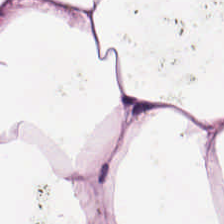H&E-stained tissue section. 224×224 px tile. Formalin-fixed paraffin-embedded section — The tissue is adipose tissue.
